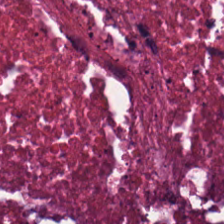Formalin-fixed paraffin-embedded section; H&E stain. Classification: cellular debris.
